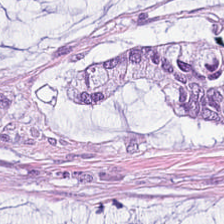20× equivalent magnification · FFPE · hematoxylin-and-eosin stained section — Impression → extracellular mucin.
